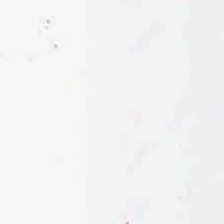H&E stain.
Q: What does this patch show?
A: It is empty background.
